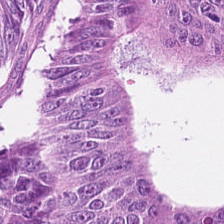20× equivalent magnification · H&E-stained tissue section · whole-slide-image patch — This patch shows colorectal adenocarcinoma.
